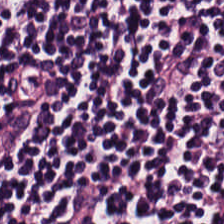20× equivalent magnification. Brightfield. H&E.
{"tissue_type": "lymphocytes"}
